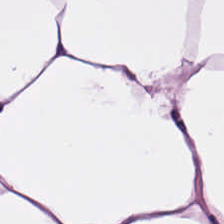H&E stain — {"tissue_type": "fat tissue"}
